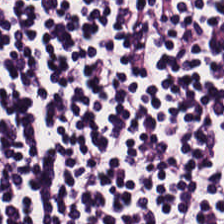H&E stain. Tissue type — lymphoid infiltrate.
